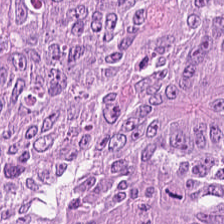Q: What tissue is shown?
A: Tumor epithelium.
